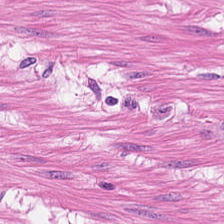Stain: hematoxylin-and-eosin stained section.
Tile size: 224×224 px patch.
Predominant tissue: muscularis.
